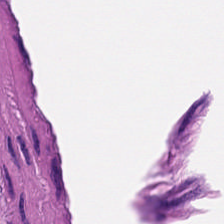H&E-stained tissue section · 224×224 px tile · formalin-fixed paraffin-embedded section.
Q: What does this patch show?
A: Muscularis.
